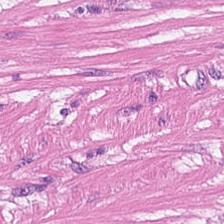H&E-stained tissue section; 224×224 px patch. This field is smooth muscle.
